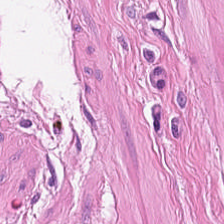H&E.
This patch shows smooth muscle.
